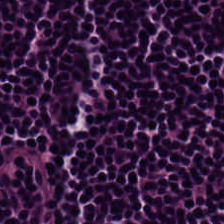Hematoxylin and eosin · WSI patch.
Showing lymphocyte aggregate.
